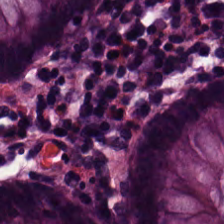H&E — Tissue type: normal colonic mucosa.
